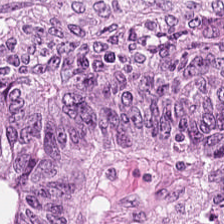Stain: hematoxylin and eosin.
Tissue: colorectal adenocarcinoma epithelium.
